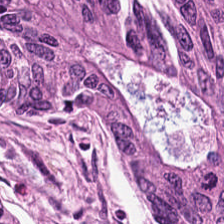FFPE · H&E-stained tissue section · brightfield. Tissue class = tumor epithelium.
